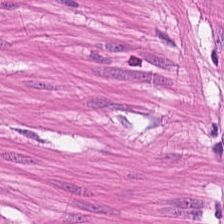Hematoxylin and eosin.
Predominant tissue — smooth muscle.
